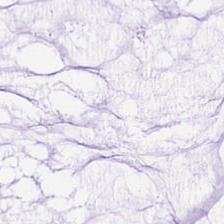FFPE tissue section; hematoxylin and eosin. Q: What is shown in this field?
A: Mucus.
